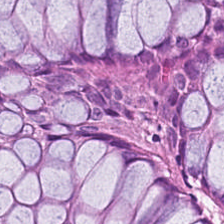Hematoxylin and eosin. Q: What type of tissue is this?
A: This is benign colonic mucosa.
